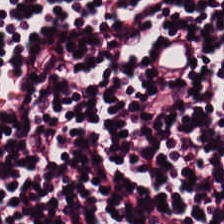Hematoxylin and eosin · FFPE tissue section · brightfield microscopy. Impression → lymphoid infiltrate.
